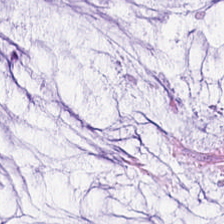Stain: hematoxylin-and-eosin stained section.
Resolution: 0.5 µm/px.
Tissue: mucus.
